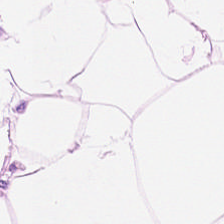0.5 µm/px · H&E-stained tissue section.
The tissue type is adipose.
